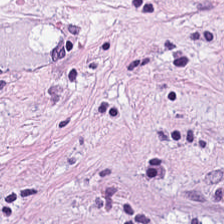Hematoxylin-and-eosin section: tumor stroma.
